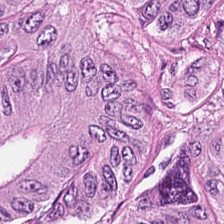H&E. Predominantly tumor epithelium.
